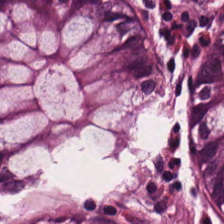H&E stain; whole-slide-image patch — The tissue here is normal colonic mucosa.
